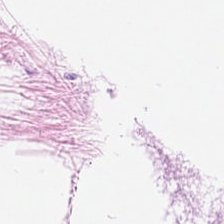H&E stain · FFPE tissue section. Q: What does this patch show?
A: This is adipose.
